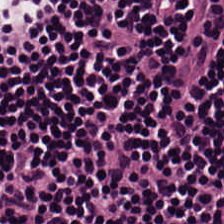H&E.
Q: What is the predominant tissue type?
A: The field shows lymphocyte aggregate.
